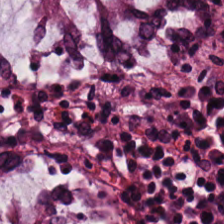H&E-stained tissue section · 224×224 px patch · FFPE. Benign colonic mucosa.
